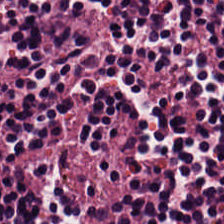The classification is lymphocytic infiltrate.
